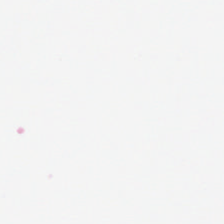0.5 microns per pixel; hematoxylin and eosin — No tissue present; background only.
